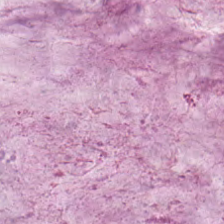H&E. Predominant tissue: extracellular mucin.
